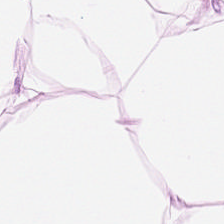H&E stain — The tissue is adipocytes.
